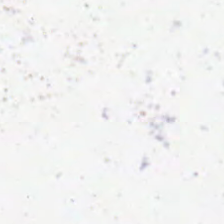H&E stain — Histology — no tissue.
